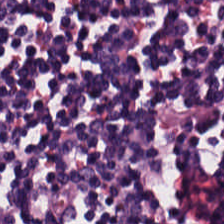Hematoxylin-and-eosin stained section.
This field is lymphocytic infiltrate.
